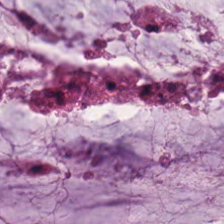Stain: H&E.
Tissue class: mucus.
